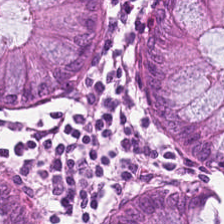Stain: hematoxylin and eosin.
Classification: benign colonic mucosa.
